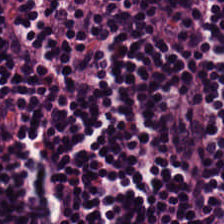H&E.
This patch shows lymphocytes.
